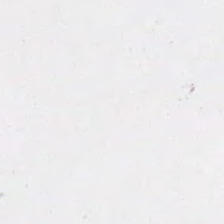H&E; 0.5 microns per pixel — This patch shows background (no tissue).
